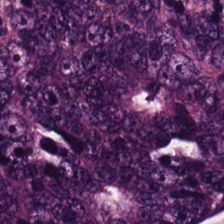Classification = malignant epithelium.
